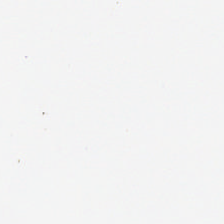H&E stain. WSI patch — Background (no tissue).
